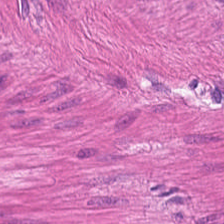FFPE tissue section · 0.5 µm/px · H&E-stained tissue section — {"tissue_type": "smooth muscle"}
